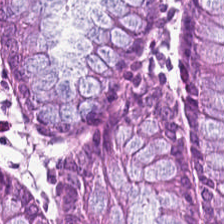Hematoxylin and eosin. This patch shows normal colonic mucosa.
